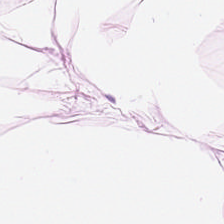Stain: H&E-stained tissue section.
Tissue class: fat tissue.
